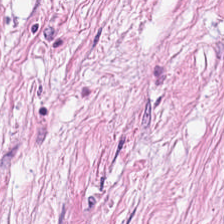Formalin-fixed paraffin-embedded section; hematoxylin-and-eosin stained section. Showing desmoplastic stroma.
